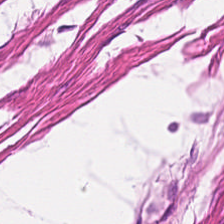H&E — Q: What tissue type is shown here?
A: Smooth-muscle tissue.
